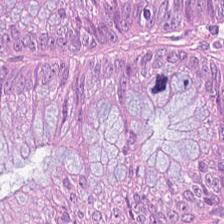WSI patch; H&E stain. Impression → colorectal adenocarcinoma.
